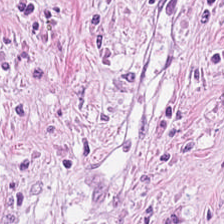{"tissue_type": "tumor-associated stroma"}
